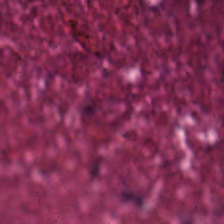WSI patch. Hematoxylin and eosin — Tissue type: cellular debris.
